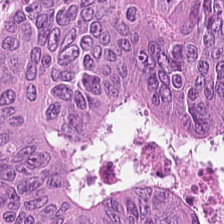Hematoxylin-and-eosin stained section — Predominantly colorectal adenocarcinoma epithelium.
